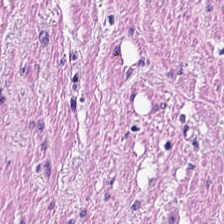Tissue type: smooth-muscle tissue.
